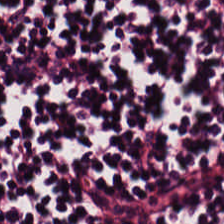H&E-stained tissue section — Tissue class = lymphocyte aggregate.
